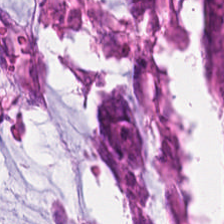Hematoxylin and eosin; whole-slide-image patch. Q: What does this patch show?
A: Malignant epithelium.
